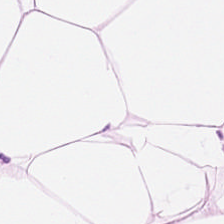H&E-stained tissue section — This patch shows adipose tissue.
